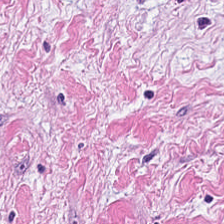0.5 µm per pixel · hematoxylin and eosin — This patch shows tumor stroma.
